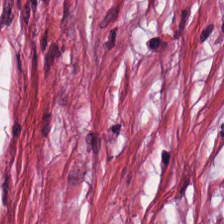Hematoxylin-and-eosin stained section. The tissue here is tumor stroma.
